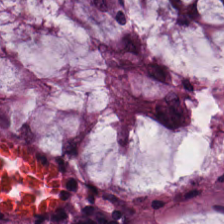H&E. FFPE.
This field is normal colon mucosa.
